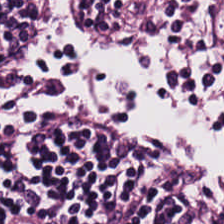This field is lymphoid infiltrate.
